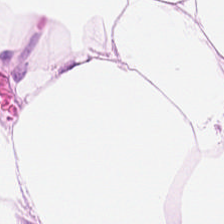H&E patch showing adipose.
